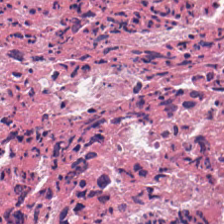224×224 px patch; hematoxylin-and-eosin stained section. Necrotic debris.
